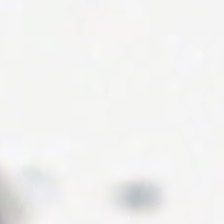H&E-stained tissue section.
This patch shows background (no tissue).
